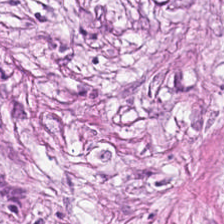Hematoxylin and eosin — The predominant tissue is tumor-associated stroma.
